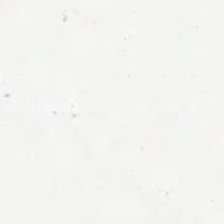Field content = no tissue.
